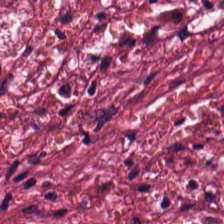The tissue class is tumor-associated stroma.
